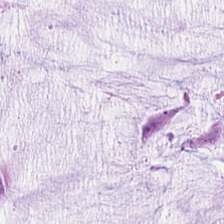Hematoxylin-and-eosin stained section. Q: What tissue type is shown here?
A: It is mucus.
